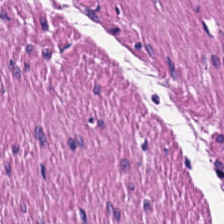Tissue: muscularis.
